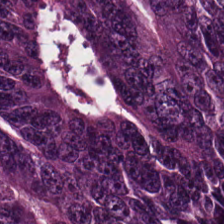Tissue class = colorectal adenocarcinoma epithelium.
